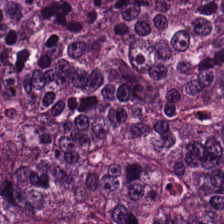H&E-stained tissue section showing malignant epithelium.
